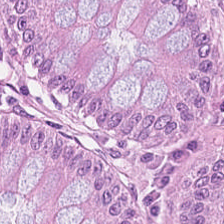The tissue type is normal colonic mucosa.
